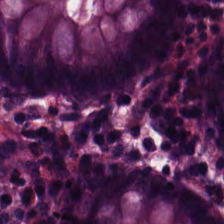224×224 px tile. H&E. Q: What is shown in this field?
A: The field shows normal colon mucosa.
